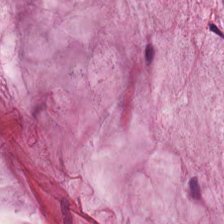224×224 px tile · H&E-stained tissue section.
Showing extracellular mucin.
